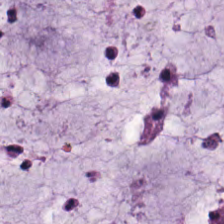Q: What tissue type is shown here?
A: This is extracellular mucin.
